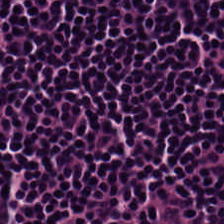20× equivalent magnification · WSI patch · H&E stain — Tissue — lymphoid infiltrate.
